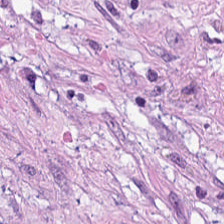Q: What tissue is shown?
A: The field shows desmoplastic stroma.
